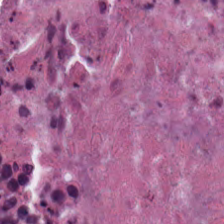Hematoxylin-and-eosin stained section · formalin-fixed paraffin-embedded section.
This patch shows necrotic debris.
